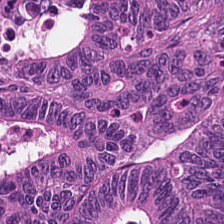Hematoxylin and eosin. FFPE tissue section — Showing adenocarcinoma.
